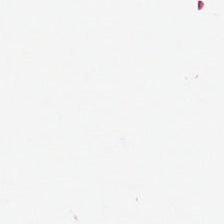H&E-stained tissue section.
The content is background.
